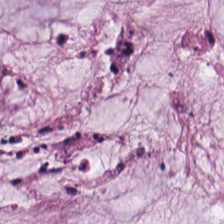Stain: H&E.
Resolution: 0.5 µm per pixel.
Tissue: extracellular mucin.
